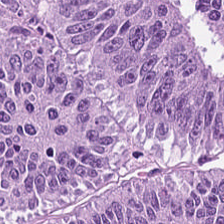H&E stain; FFPE tissue section.
This patch shows adenocarcinoma.
